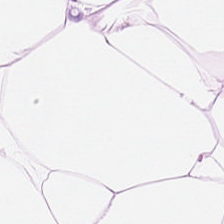Formalin-fixed paraffin-embedded section · H&E stain — Predominantly adipose tissue.
